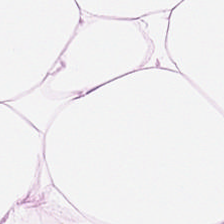Stain: H&E.
Classification: fat tissue.
